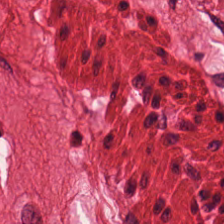Impression — smooth-muscle tissue.
